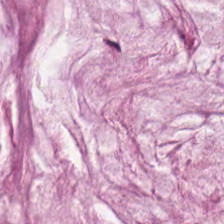H&E. 0.5 µm/px. Mucus.
